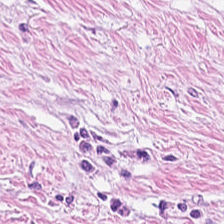Hematoxylin-and-eosin stained section; FFPE — Tumor-associated stroma.
